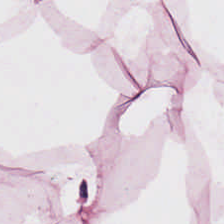Predominantly adipose.
